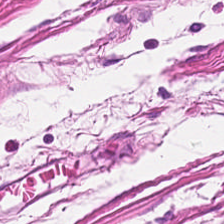Showing smooth muscle.
